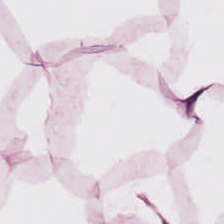Tissue type: adipose tissue.
